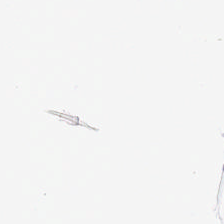Hematoxylin and eosin — Q: What is shown here?
A: It is empty background.
